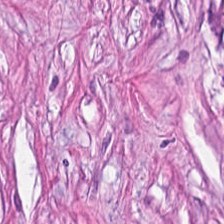Finding → cancer-associated stroma.
